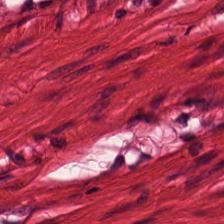Hematoxylin-and-eosin stained section.
The predominant tissue is smooth muscle.
